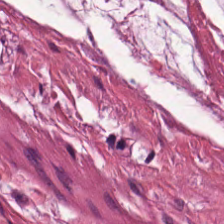Hematoxylin-and-eosin stained section.
{"tissue_type": "mucin"}
